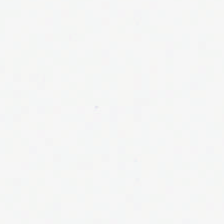Background — no tissue in this field.
